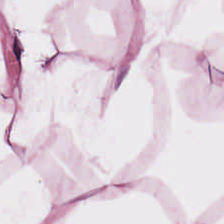Stain: H&E-stained tissue section.
Resolution: 0.5 µm per pixel.
Acquisition: WSI patch.
Tissue class: adipose tissue.
